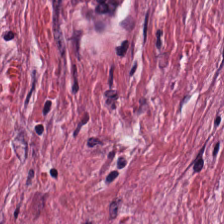FFPE tissue section; 0.5 microns per pixel; H&E. Q: What is shown in this field?
A: Cancer-associated stroma.
